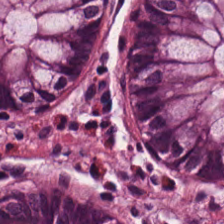224×224 px tile. H&E. This patch shows normal colon mucosa.
